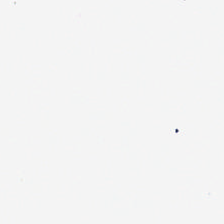Stain: H&E stain.
Content: no tissue.
